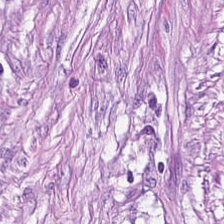Stain: H&E.
Predominant tissue: desmoplastic stroma.
